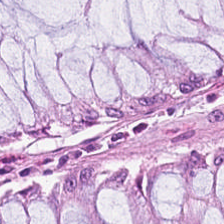Hematoxylin and eosin. Brightfield — This field is normal colonic mucosa.
